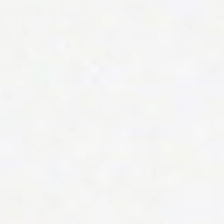20× equivalent magnification · hematoxylin and eosin. The content is no tissue.
